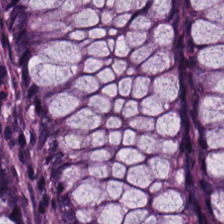Normal colon mucosa.
